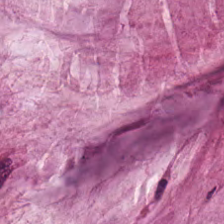Showing mucin.
